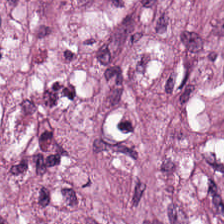0.5 µm per pixel. H&E. Formalin-fixed paraffin-embedded section. The predominant tissue is tumor stroma.
